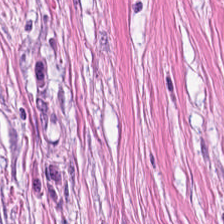Hematoxylin-and-eosin stained section. Formalin-fixed paraffin-embedded section. 224×224 px patch.
Tumor stroma.
